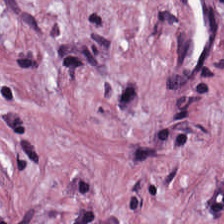Q: What is shown in this field?
A: This is tumor-associated stroma.
